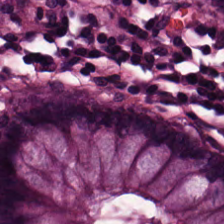H&E stain; brightfield microscopy — Tissue = benign colonic mucosa.
